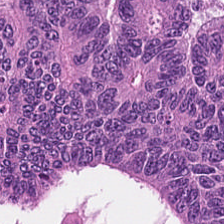Hematoxylin-and-eosin stained section. Showing adenocarcinoma.
